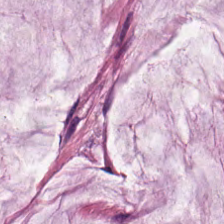Hematoxylin-and-eosin stained section. Formalin-fixed paraffin-embedded section. Brightfield. The tissue here is mucin.
